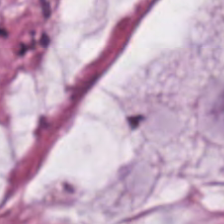H&E stain. Tissue class = mucin.
